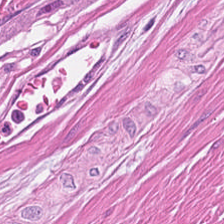H&E — Showing muscularis.
